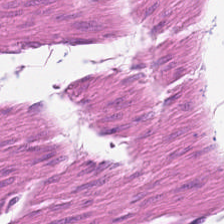H&E · 224×224 px patch. Q: What does this patch show?
A: The field shows smooth muscle.
